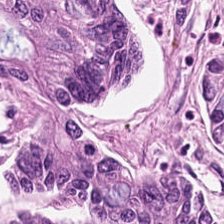H&E — colorectal adenocarcinoma.
